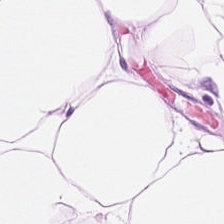Tissue type = adipose tissue.
